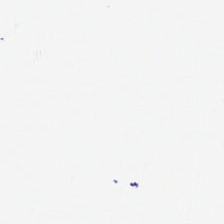Stain: hematoxylin and eosin.
Field content: background (no tissue).
